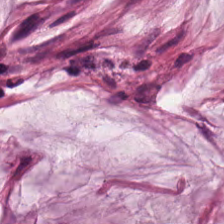224×224 pixel tile · 0.5 microns per pixel · H&E-stained tissue section.
Predominant tissue: mucin.
